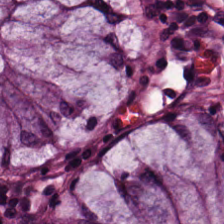H&E; 224×224 px patch.
Q: Classify this patch.
A: It is normal colon mucosa.
